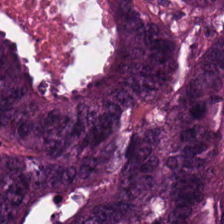H&E-stained tissue section; 224×224 pixel tile — Tissue class = malignant epithelium.
